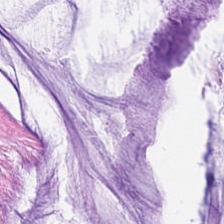Formalin-fixed paraffin-embedded section · hematoxylin and eosin — This patch shows extracellular mucin.
